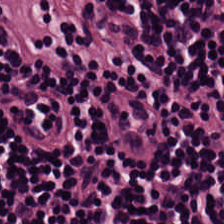{"tissue_type": "lymphocytes"}
